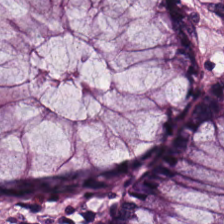FFPE tissue section; hematoxylin-and-eosin stained section. The tissue here is benign colonic mucosa.
